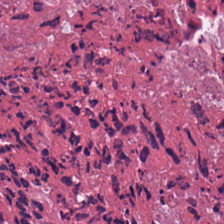Q: What is shown here?
A: Necrotic debris.
